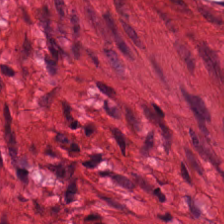Finding → smooth-muscle tissue.
